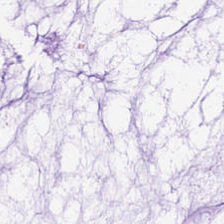Hematoxylin-and-eosin stained section. Tissue type = mucus.
